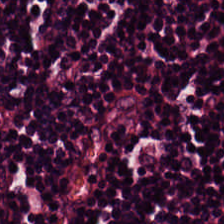H&E.
Tissue type: lymphocytes.
